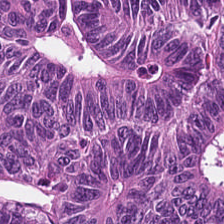H&E stain. FFPE tissue section. 20× equivalent magnification — Predominantly colorectal adenocarcinoma epithelium.
